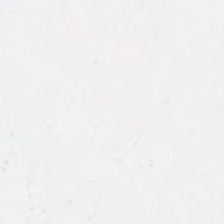Hematoxylin and eosin. Classification: empty background.
